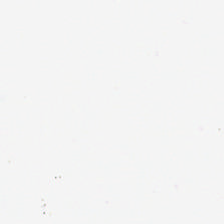H&E — Background — no tissue in this field.
